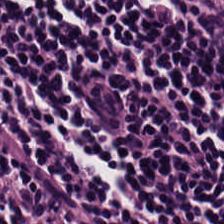Brightfield microscopy; hematoxylin and eosin — Showing lymphocytes.
